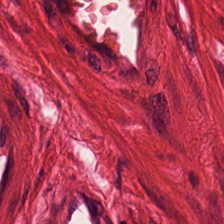H&E patch showing muscularis.
